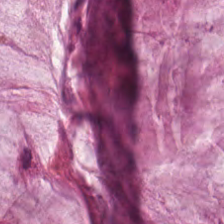224×224 px patch. H&E-stained tissue section.
{"tissue_type": "extracellular mucin"}
